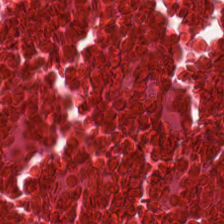WSI patch · hematoxylin and eosin · formalin-fixed paraffin-embedded section.
The predominant tissue is cellular debris.
